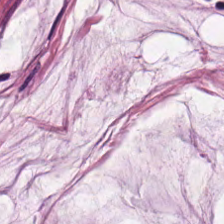Whole-slide-image patch · H&E.
This field is mucin.
